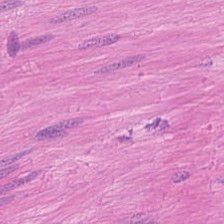H&E stain; FFPE; 0.5 µm per pixel. Histology — smooth muscle.
